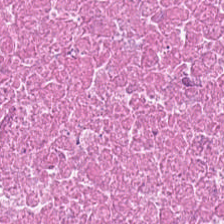Histology → necrotic debris.
